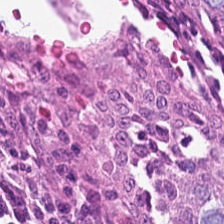Stain: H&E-stained tissue section.
Resolution: 20× equivalent magnification.
Tissue type: normal colon mucosa.
